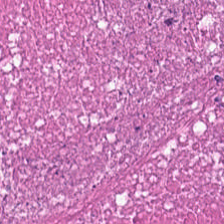Stain: hematoxylin-and-eosin stained section.
Resolution: 0.5 µm per pixel.
Tissue type: necrotic debris.
